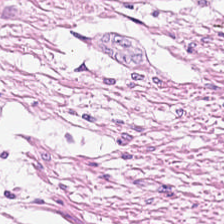H&E. Whole-slide-image patch. FFPE tissue section — Impression → muscularis.
